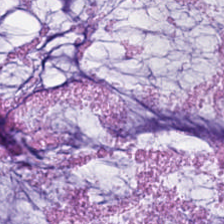H&E-stained tissue section. {"tissue_type": "extracellular mucin"}
